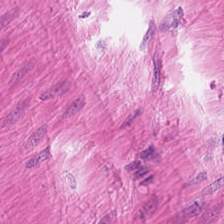H&E stain; WSI patch; 20× equivalent magnification — Q: What tissue is shown?
A: Smooth-muscle tissue.
